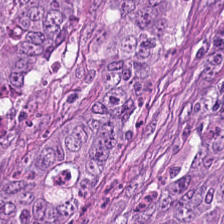H&E stain. The predominant tissue is adenocarcinoma.
